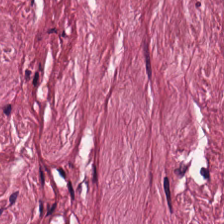Brightfield microscopy. H&E. 224×224 px tile.
The tissue is tumor stroma.
